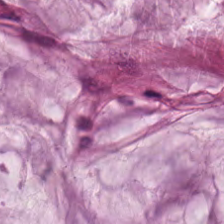Hematoxylin and eosin.
Tissue — extracellular mucin.
